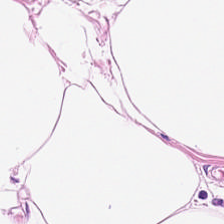Hematoxylin and eosin; 0.5 µm per pixel — This field is fat tissue.
